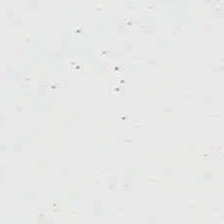H&E-stained tissue section — Q: Classify this patch.
A: It is background.
